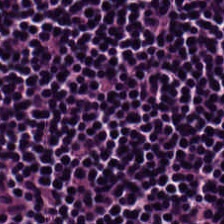Predominantly lymphoid infiltrate.
